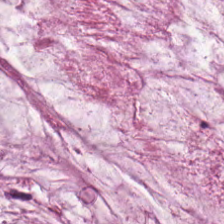FFPE tissue section. Hematoxylin-and-eosin stained section. 224×224 px tile.
Tissue class — mucus.
